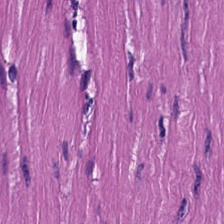H&E-stained tissue section.
The classification is smooth-muscle tissue.
